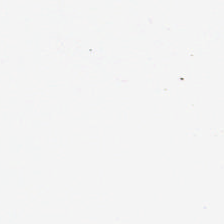Background.
